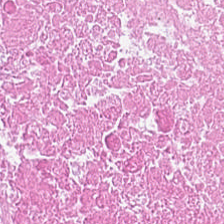H&E stain; 0.5 µm per pixel.
Q: What is the predominant tissue type?
A: Cellular debris.
